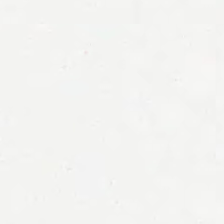H&E. 0.5 microns per pixel. Formalin-fixed paraffin-embedded section. Q: Classify this patch.
A: This is empty background.
